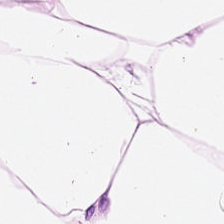H&E stain — Tissue — fat tissue.
